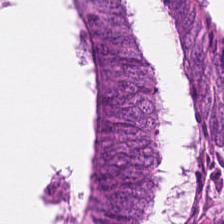Hematoxylin-and-eosin stained section — Predominant tissue: tumor epithelium.
